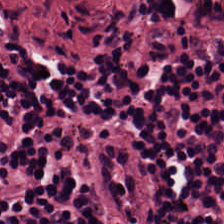224×224 px patch; hematoxylin-and-eosin stained section; brightfield — Predominantly lymphoid infiltrate.
